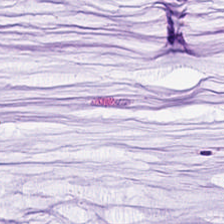FFPE tissue section. Hematoxylin and eosin. Showing mucin.
